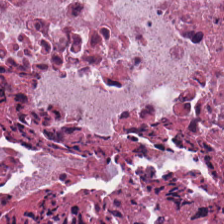H&E; FFPE. Q: What type of tissue is this?
A: It is cellular debris.
